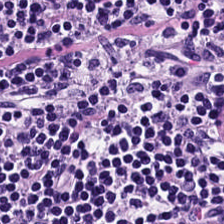Hematoxylin and eosin.
Q: What is shown here?
A: It is lymphocytes.
